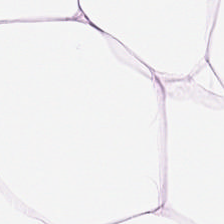H&E. Fat tissue.
